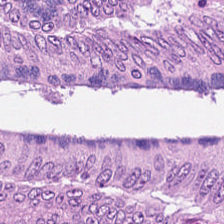FFPE tissue section. Hematoxylin-and-eosin stained section.
Predominantly colorectal adenocarcinoma.
